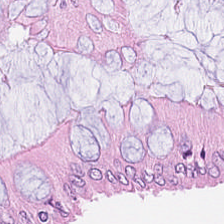H&E-stained tissue section — Predominant tissue: normal colon mucosa.
